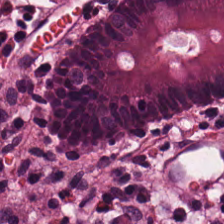Tissue class: normal colon mucosa.
